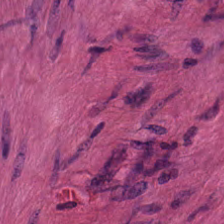H&E — The predominant tissue is smooth muscle.
